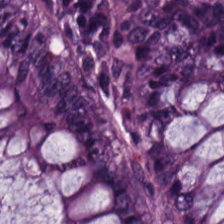WSI patch; hematoxylin and eosin; FFPE tissue section — Q: What is shown in this field?
A: It is benign colonic mucosa.
